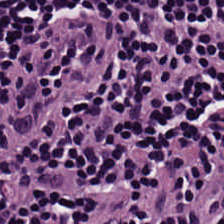Hematoxylin and eosin. Impression → lymphoid infiltrate.
